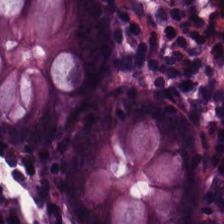Hematoxylin and eosin.
The predominant tissue is non-neoplastic colon mucosa.
